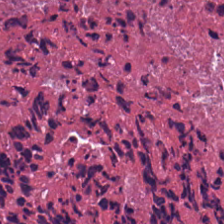This field is necrotic debris.
